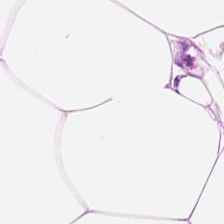Stain: H&E stain.
Tissue: adipose tissue.
